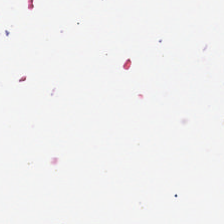This patch shows background.
